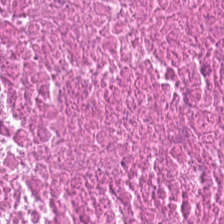Brightfield microscopy. H&E-stained tissue section.
Predominantly necrotic debris.
